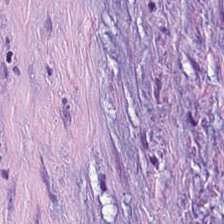Q: What is shown in this field?
A: Tumor-associated stroma.
